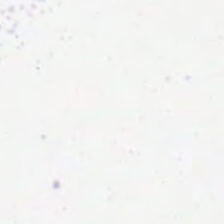H&E-stained tissue section. Content = background.
